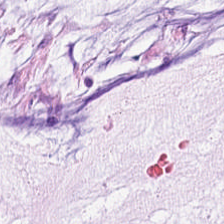H&E stain — Q: Identify the tissue.
A: Mucus.
